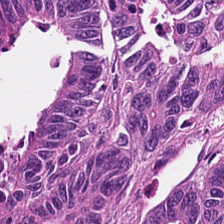Showing malignant epithelium.
